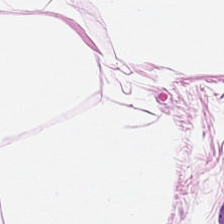Q: What does this patch show?
A: The field shows fat tissue.
